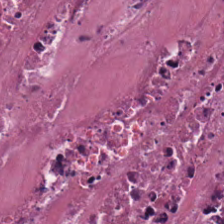Hematoxylin and eosin. The predominant tissue is necrotic debris.
